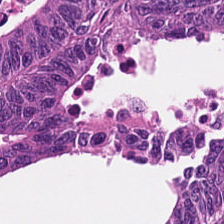H&E stain — Predominantly colorectal adenocarcinoma.
